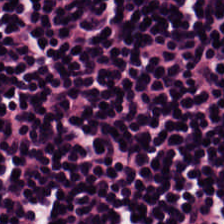Stain: hematoxylin-and-eosin stained section.
Preparation: FFPE tissue section.
Acquisition: brightfield.
Tissue class: lymphocyte aggregate.
